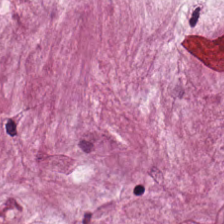H&E stain. Showing mucin.
